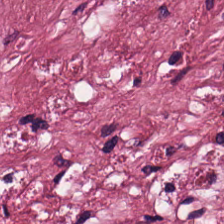Brightfield microscopy. H&E stain — Q: What tissue type is shown here?
A: Tumor-associated stroma.
